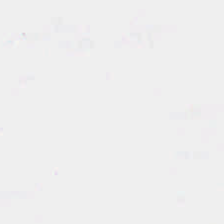Stain: hematoxylin and eosin.
Content: background (no tissue).
